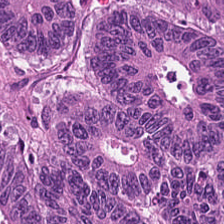0.5 µm/px. Hematoxylin-and-eosin stained section.
{"tissue_type": "tumor epithelium"}
